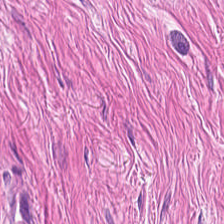H&E — Tissue = smooth-muscle tissue.
